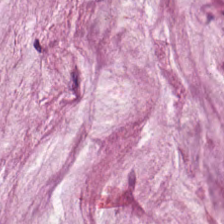224×224 pixel tile. H&E. 20× equivalent magnification.
Predominantly mucin.
